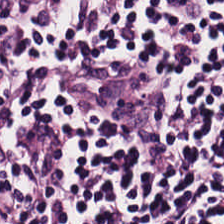H&E-stained tissue section. Tissue type = lymphocytic infiltrate.
